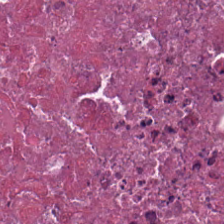The tissue here is necrotic debris.
